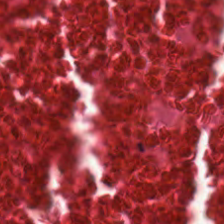H&E.
Q: What is shown here?
A: It is necrotic debris.
